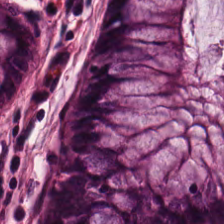224×224 pixel tile. H&E stain. The classification is normal colon mucosa.
